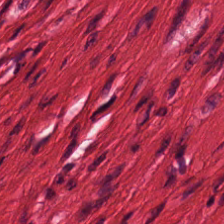Hematoxylin and eosin — Showing muscularis.
